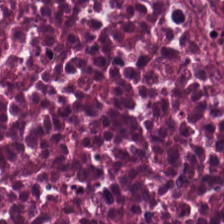H&E — This field is debris.
